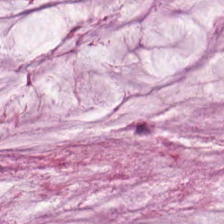H&E stain — Q: What is shown in this field?
A: The field shows mucin.
